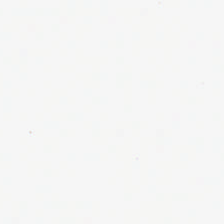Hematoxylin and eosin — Impression — background.
